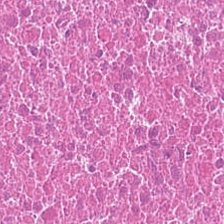H&E · FFPE tissue section.
Q: Classify this patch.
A: This is necrotic debris.
